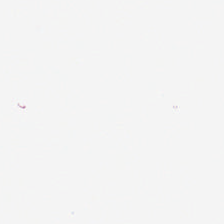Stain: H&E-stained tissue section.
Tile size: 224×224 px patch.
Field content: background.
